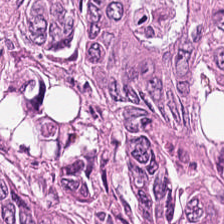H&E. Whole-slide-image patch — Finding → colorectal adenocarcinoma epithelium.
